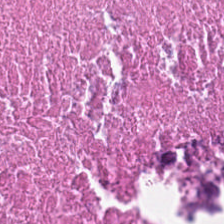H&E.
This patch shows necrotic debris.
